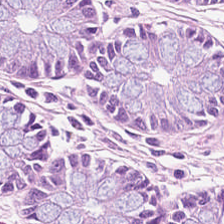Stain: H&E-stained tissue section.
Predominant tissue: normal colon mucosa.
